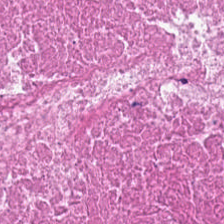H&E-stained tissue section.
Q: What type of tissue is this?
A: This is cellular debris.
